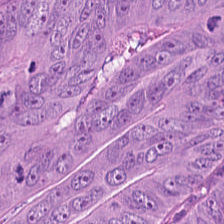Stain: hematoxylin and eosin.
Tile size: 224×224 px patch.
Resolution: 0.5 µm per pixel.
Tissue: malignant epithelium.
